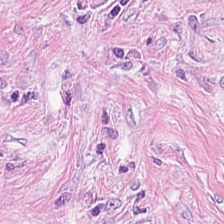This field is tumor stroma.
